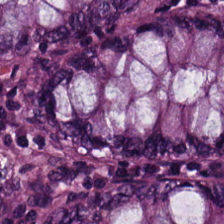H&E; 0.5 µm/px. Q: What tissue is shown?
A: This is normal colonic mucosa.
